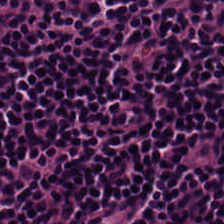224×224 px patch; hematoxylin-and-eosin stained section — The predominant tissue is lymphocytic infiltrate.
